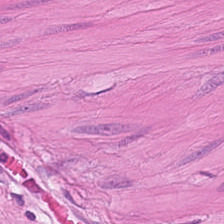224×224 pixel tile · 0.5 microns per pixel · H&E-stained tissue section.
The tissue here is smooth muscle.
